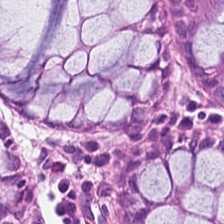Brightfield. Hematoxylin and eosin. 0.5 µm per pixel.
Q: What is shown here?
A: It is normal colonic mucosa.
